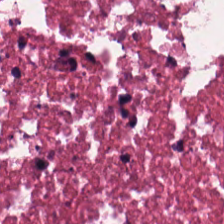The tissue is cellular debris.
